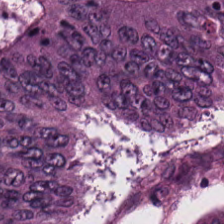{"tissue_type": "adenocarcinoma"}
